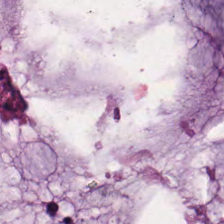Tissue class = extracellular mucin.
